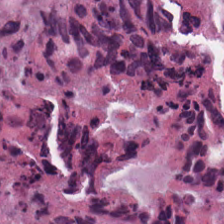Hematoxylin and eosin.
Histology — cellular debris.
